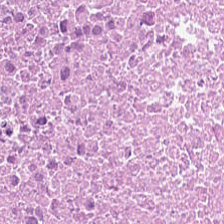WSI patch; hematoxylin and eosin.
Showing debris.
